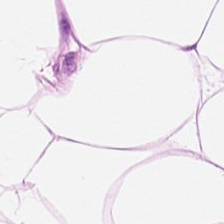Stain: H&E.
Tissue: adipose.
